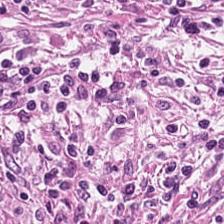Stain: H&E-stained tissue section.
Tile size: 224×224 px tile.
Resolution: 0.5 µm per pixel.
Tissue: cancer-associated stroma.
